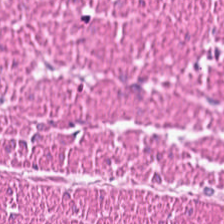224×224 px patch; formalin-fixed paraffin-embedded section; H&E — The tissue here is smooth muscle.
